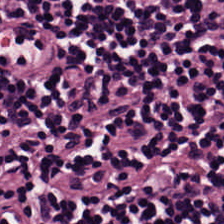Hematoxylin and eosin · 224×224 pixel tile — Finding — lymphoid infiltrate.
